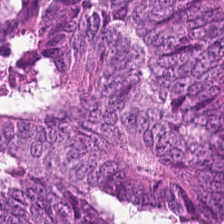Hematoxylin and eosin.
The tissue is adenocarcinoma.
